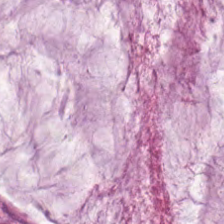Stain: H&E.
Tile size: 224×224 px tile.
Preparation: formalin-fixed paraffin-embedded section.
Predominant tissue: extracellular mucin.
